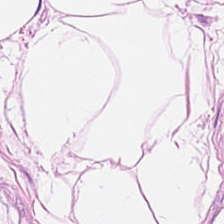Stain: H&E stain.
Tile size: 224×224 pixel tile.
Predominant tissue: fat tissue.
